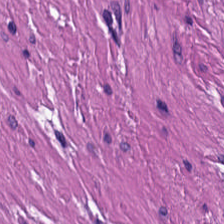H&E. 0.5 µm/px — The tissue here is smooth muscle.
